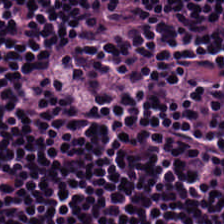Hematoxylin and eosin — Lymphocytic infiltrate.
